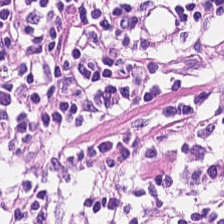H&E — Showing lymphocytic infiltrate.
